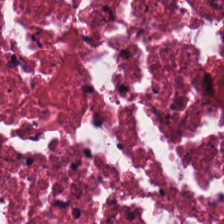Stain: H&E-stained tissue section.
Tissue type: debris.
